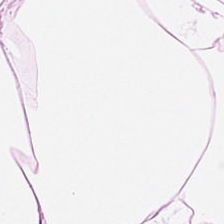H&E patch showing fat tissue.
